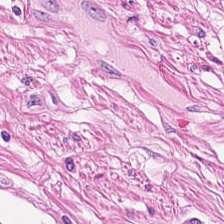Histology → muscularis.
